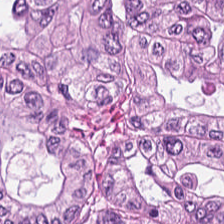Hematoxylin-and-eosin stained section — Showing colorectal adenocarcinoma.
